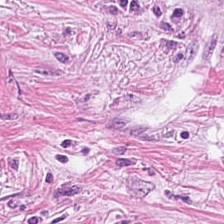H&E stain.
Predominantly cancer-associated stroma.
